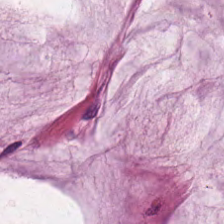Stain: H&E-stained tissue section.
Tissue class: mucus.
